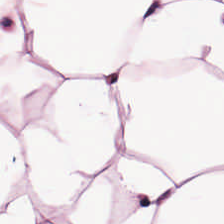FFPE tissue section · 224×224 px tile · hematoxylin-and-eosin stained section. The tissue here is adipose.
